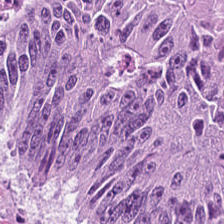Stain: hematoxylin-and-eosin stained section.
Tissue class: tumor epithelium.
